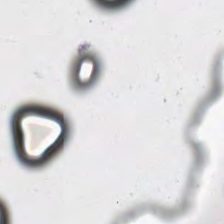Background — no tissue in this field.
